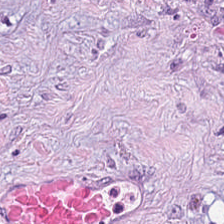H&E-stained tissue section showing tumor stroma.
